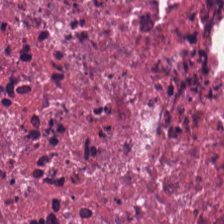H&E-stained section; the field shows cellular debris.
